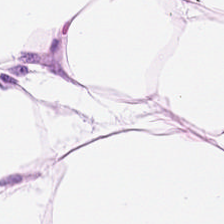H&E-stained tissue section. Formalin-fixed paraffin-embedded section — Predominant tissue = adipocytes.
